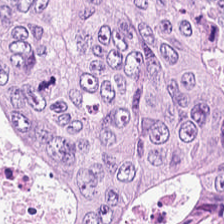Tissue = colorectal adenocarcinoma.
